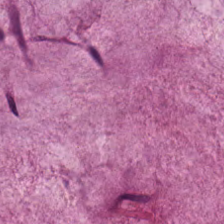Stain: H&E-stained tissue section.
Resolution: 0.5 µm/px.
Tissue: mucin.
